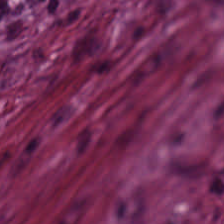WSI patch; 224×224 px tile; H&E stain. Tissue: tumor stroma.
